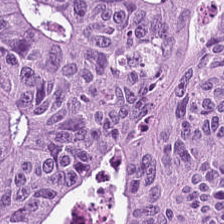H&E stain · 224×224 px patch · 0.5 µm per pixel.
Classification = malignant epithelium.
